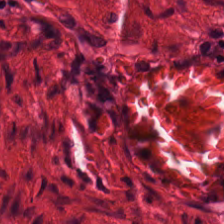20× equivalent magnification; hematoxylin and eosin; 224×224 pixel tile — Histology → smooth muscle.
